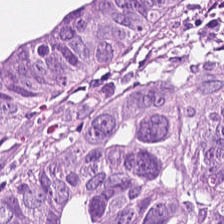FFPE tissue section · 224×224 pixel tile · H&E.
Tissue: adenocarcinoma.
